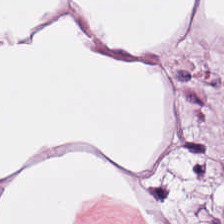Hematoxylin and eosin. Finding — adipose tissue.
